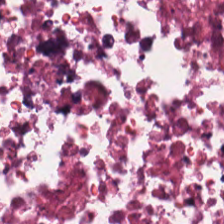224×224 pixel tile · hematoxylin and eosin · 0.5 µm per pixel.
Q: What is the predominant tissue type?
A: Debris.
